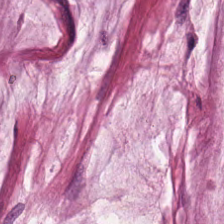Tissue: mucus.
